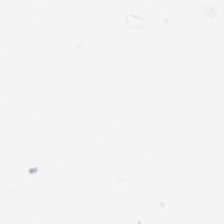Stain: hematoxylin and eosin.
Resolution: 20× equivalent magnification.
Tile size: 224×224 px patch.
Content: empty background.
